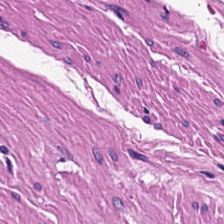Hematoxylin and eosin.
{"tissue_type": "smooth muscle"}
